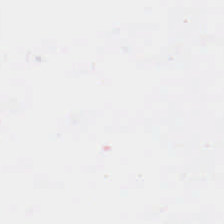Background — no tissue in this field.
